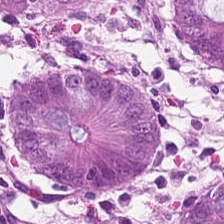H&E — non-neoplastic colon mucosa.
